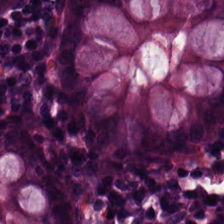H&E-stained tissue section — {"tissue_type": "benign colonic mucosa"}
